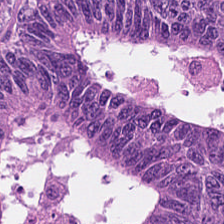Adenocarcinoma.
